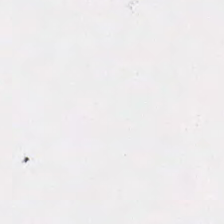H&E stain.
The content is background.
